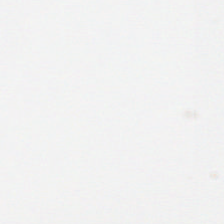Field content — empty background.
